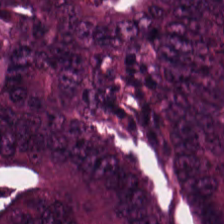H&E stain — Q: Classify this patch.
A: This is colorectal adenocarcinoma.
